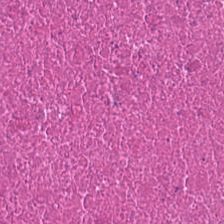Stain: H&E-stained tissue section.
Tissue: cellular debris.
